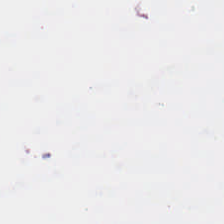20× equivalent magnification · hematoxylin and eosin · WSI patch.
Histology → empty background.
